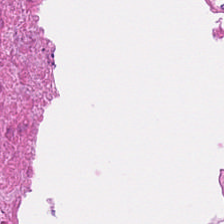Q: Identify the tissue.
A: It is cellular debris.
